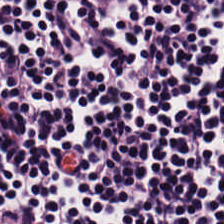Formalin-fixed paraffin-embedded section · H&E-stained tissue section.
Q: What is the predominant tissue type?
A: Lymphocytic infiltrate.
